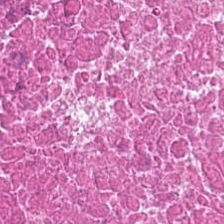Hematoxylin-and-eosin stained section; 20× equivalent magnification.
Tissue class — cellular debris.
